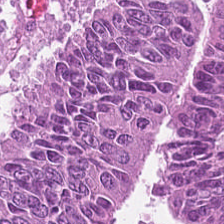Q: What is shown here?
A: This is tumor epithelium.
